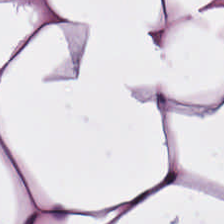H&E stain. The classification is adipocytes.
